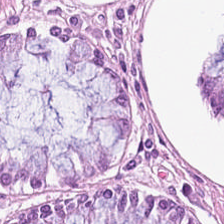H&E stain — The tissue is benign colonic mucosa.
